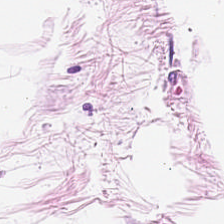Hematoxylin and eosin.
The predominant tissue is adipocytes.
